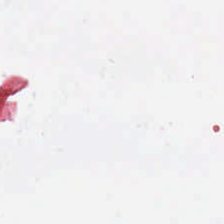H&E-stained tissue section — Q: What does this patch show?
A: This is background.
